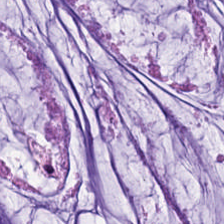Hematoxylin and eosin.
Q: Identify the tissue.
A: This is mucin.
